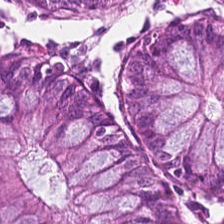0.5 microns per pixel · hematoxylin-and-eosin stained section · FFPE.
The tissue is normal colon mucosa.
